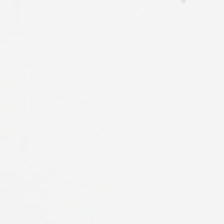FFPE. Hematoxylin-and-eosin stained section. The content is background.
